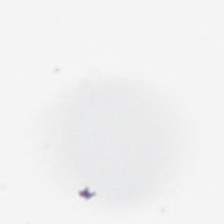The field content is background (no tissue).
